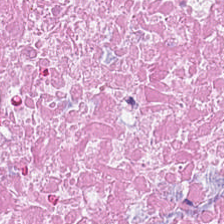Stain: hematoxylin and eosin.
Acquisition: WSI patch.
Tissue type: debris.
